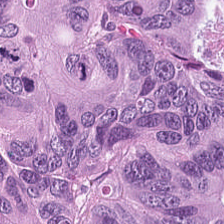Stain: H&E-stained tissue section.
Tissue class: colorectal adenocarcinoma epithelium.
